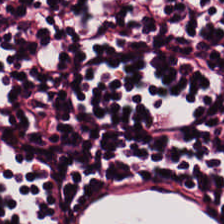0.5 µm/px · hematoxylin-and-eosin stained section · 224×224 px tile. Finding — lymphoid infiltrate.
